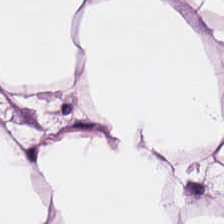H&E-stained tissue section. Q: What is shown in this field?
A: The field shows adipocytes.
